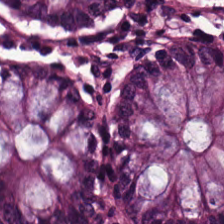H&E patch showing normal colonic mucosa.
